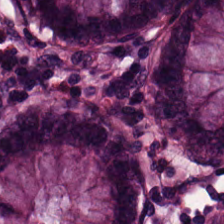H&E — Showing normal colon mucosa.
